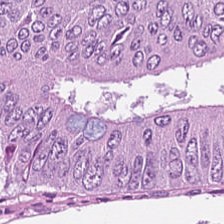Stain: hematoxylin and eosin.
Preparation: FFPE.
Tissue type: adenocarcinoma.
